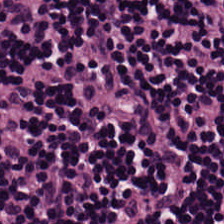20× equivalent magnification. H&E-stained tissue section — This field is lymphoid infiltrate.
